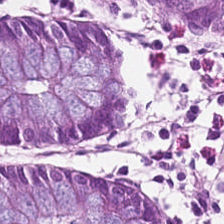The classification is non-neoplastic colon mucosa.
